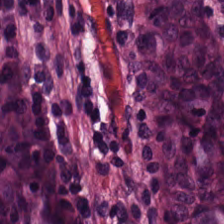Hematoxylin-and-eosin stained section. {"tissue_type": "non-neoplastic colon mucosa"}
